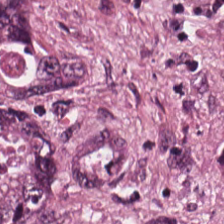Hematoxylin-and-eosin stained section.
{"tissue_type": "colorectal adenocarcinoma epithelium"}
